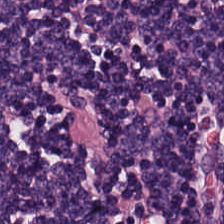H&E. This patch shows lymphocyte aggregate.
